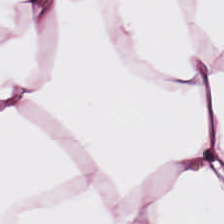H&E stain — Q: What is shown in this field?
A: It is adipose.
